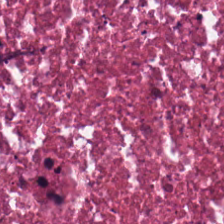H&E stain — This patch shows debris.
